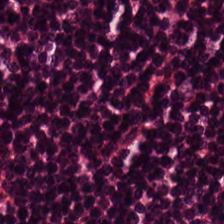20× equivalent magnification · hematoxylin and eosin — Showing lymphocytic infiltrate.
